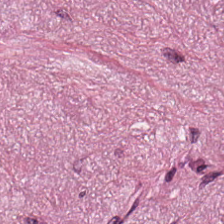H&E patch showing tumor stroma.
